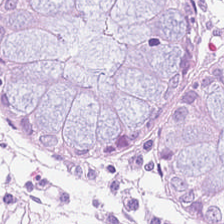H&E-stained tissue section — Tissue: normal colon mucosa.
